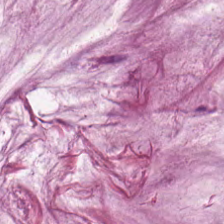Extracellular mucin.
